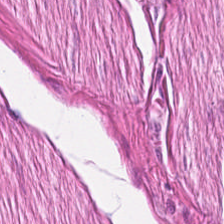H&E — Q: What is shown here?
A: Smooth muscle.
